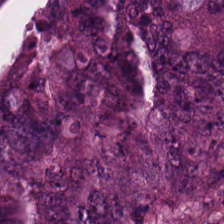WSI patch; hematoxylin and eosin — Impression → adenocarcinoma.
